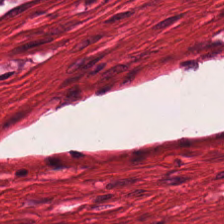Stain: H&E-stained tissue section.
Tissue type: smooth-muscle tissue.
